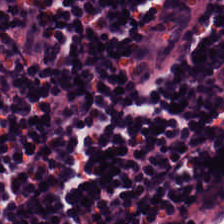Hematoxylin-and-eosin stained section.
The predominant tissue is lymphocyte aggregate.
